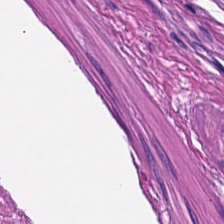Brightfield microscopy · hematoxylin-and-eosin stained section. The tissue class is muscularis.
